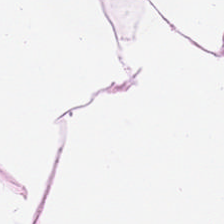This patch shows adipose tissue.
